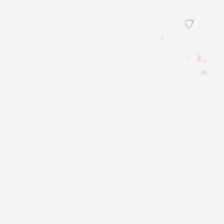Stain: H&E-stained tissue section.
Classification: background (no tissue).
